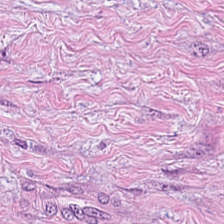H&E stain. This patch shows desmoplastic stroma.
